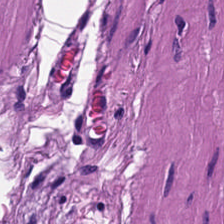224×224 px patch. FFPE tissue section. H&E stain — Smooth-muscle tissue.
